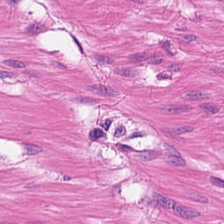H&E stain.
Predominantly muscularis.
